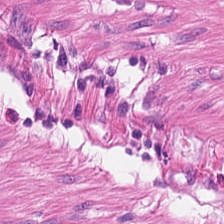Stain: hematoxylin-and-eosin stained section.
Tissue: smooth-muscle tissue.
